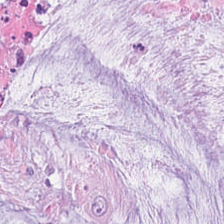Tissue type — mucus.
